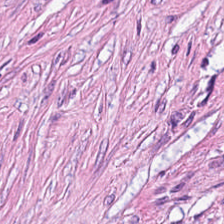H&E-stained tissue section. Tissue: cancer-associated stroma.
